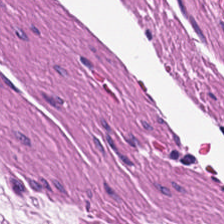Stain: H&E stain.
Acquisition: brightfield.
Tile size: 224×224 px patch.
Predominant tissue: smooth-muscle tissue.
